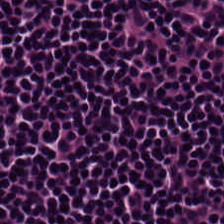0.5 microns per pixel · brightfield · H&E-stained tissue section — Showing lymphocytic infiltrate.
